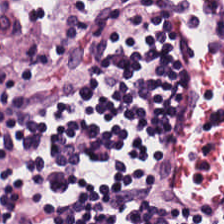Hematoxylin and eosin. Lymphocytes.
